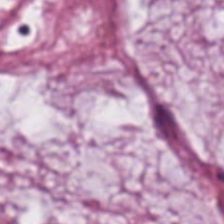H&E-stained tissue section; 224×224 pixel tile — The predominant tissue is extracellular mucin.
